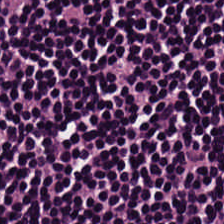Predominantly lymphoid infiltrate.
